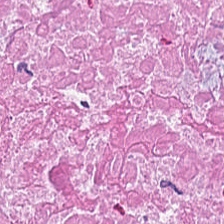H&E-stained tissue section · brightfield microscopy. Predominantly necrotic debris.
